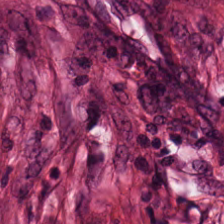Hematoxylin and eosin.
The tissue here is tumor-associated stroma.
